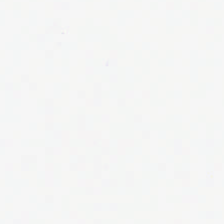Whole-slide-image patch. 0.5 µm per pixel. H&E stain.
{"content": "no tissue"}
